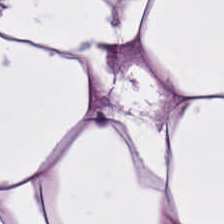Histology — fat tissue.
